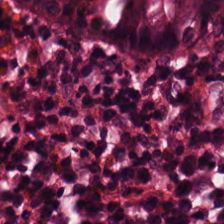Stain: H&E-stained tissue section.
Tissue: non-neoplastic colon mucosa.
